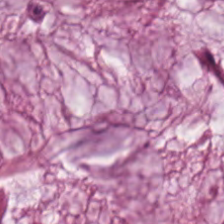The predominant tissue is extracellular mucin.
